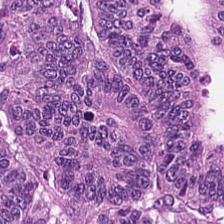H&E-stained tissue section.
Tissue class = colorectal adenocarcinoma.
